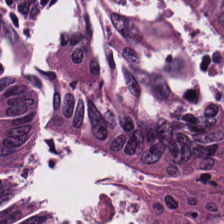H&E — {"tissue_type": "tumor epithelium"}
